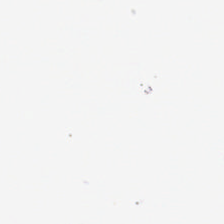Stain: H&E-stained tissue section.
Preparation: FFPE.
Acquisition: brightfield microscopy.
Classification: no tissue.
